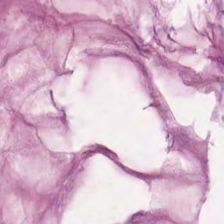H&E stain. Mucin.
